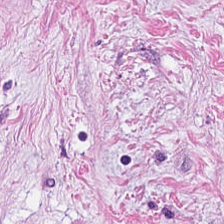H&E stain; FFPE tissue section.
Tissue — tumor-associated stroma.
